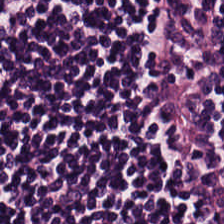This field is lymphocytes.
